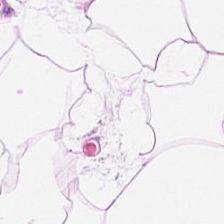Stain: hematoxylin and eosin.
Tissue class: fat tissue.
